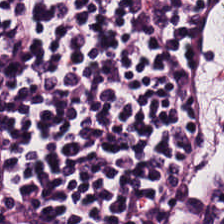20× equivalent magnification; H&E-stained tissue section. The tissue is lymphocytes.
